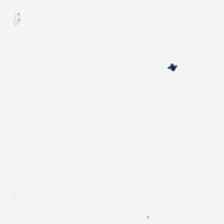224×224 px patch · hematoxylin-and-eosin stained section — Q: What is shown here?
A: This is background.
